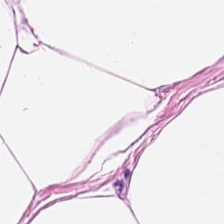Hematoxylin-and-eosin stained section. Finding — adipose tissue.
